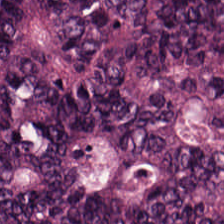224×224 px tile. H&E stain. Tissue type: colorectal adenocarcinoma epithelium.
